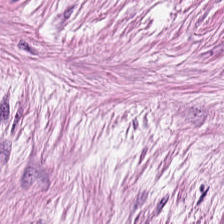H&E-stained tissue section. Q: What tissue type is shown here?
A: This is tumor-associated stroma.
